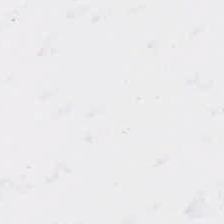Stain: H&E stain.
Resolution: 0.5 microns per pixel.
Content: empty background.
